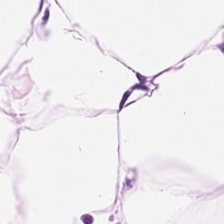Stain: hematoxylin-and-eosin stained section.
Acquisition: brightfield.
Tile size: 224×224 pixel tile.
Tissue: fat tissue.
